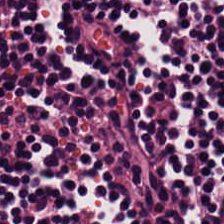224×224 px tile; H&E.
Tissue type = lymphoid infiltrate.
